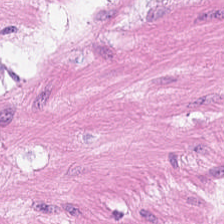Formalin-fixed paraffin-embedded section · 224×224 px tile · H&E.
Tissue class: smooth muscle.
